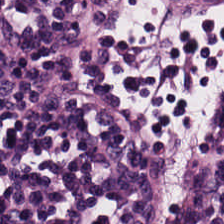H&E — Impression — lymphocytic infiltrate.
